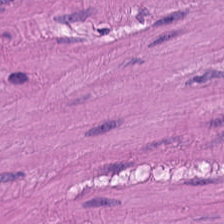H&E-stained tissue section.
Finding — muscularis.
